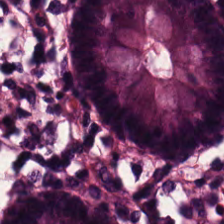224×224 pixel tile · H&E stain · formalin-fixed paraffin-embedded section. Predominant tissue: non-neoplastic colon mucosa.
